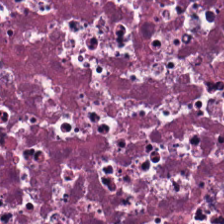H&E stain. The tissue class is cellular debris.
